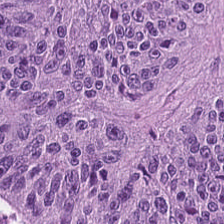Stain: H&E stain.
Tissue: colorectal adenocarcinoma.
